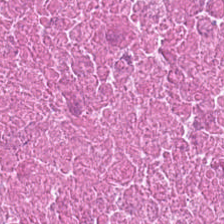H&E. Brightfield microscopy.
Q: What type of tissue is this?
A: The field shows necrotic debris.
